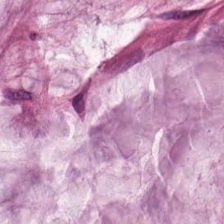H&E stain · FFPE.
The predominant tissue is mucus.
